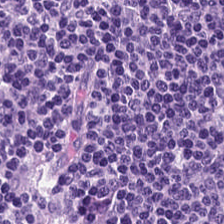H&E stain · 224×224 pixel tile. The tissue type is lymphocytes.
